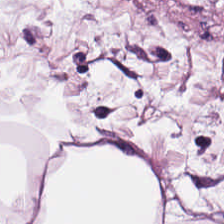H&E · 0.5 µm per pixel.
{"tissue_type": "adipose tissue"}
